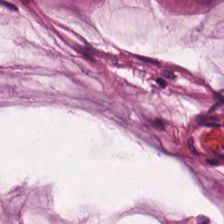Q: Identify the tissue.
A: Mucus.
